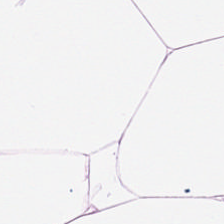0.5 µm per pixel · hematoxylin-and-eosin stained section.
Showing adipose.
